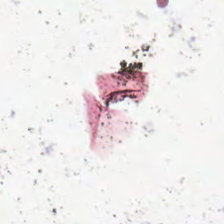Empty field — background.
